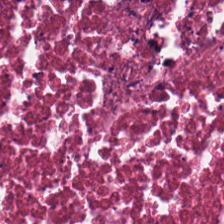Hematoxylin and eosin — Tissue type — debris.
